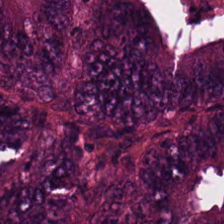Brightfield microscopy · hematoxylin and eosin · 224×224 pixel tile.
Q: What is the predominant tissue type?
A: The field shows adenocarcinoma.
